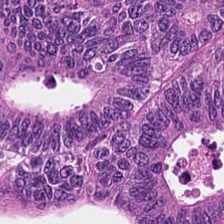Hematoxylin and eosin; 20× equivalent magnification. Tissue = colorectal adenocarcinoma.
